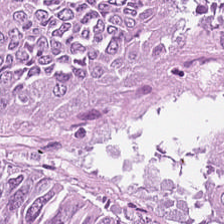WSI patch · H&E.
Q: What is shown in this field?
A: This is colorectal adenocarcinoma epithelium.
